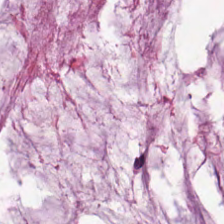The predominant tissue is extracellular mucin.
